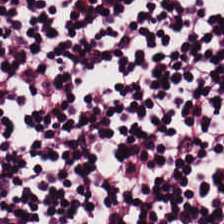H&E-stained tissue section.
Showing lymphocyte aggregate.
